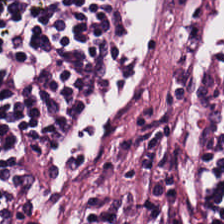Q: What type of tissue is this?
A: It is lymphocyte aggregate.
